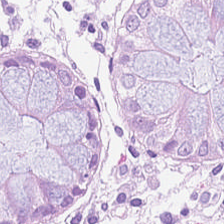H&E — This field is normal colon mucosa.
